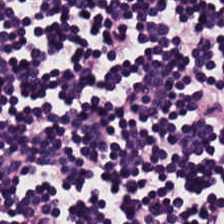H&E-stained tissue section. Lymphocytic infiltrate.
